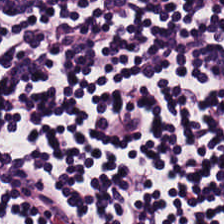H&E stain.
This field is lymphocytic infiltrate.
